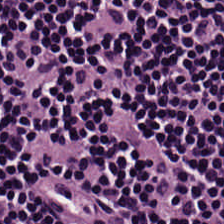224×224 px tile · hematoxylin-and-eosin stained section — Histology — lymphoid infiltrate.
